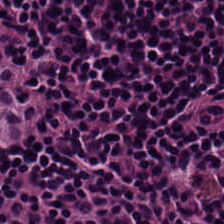H&E stain.
Tissue class — lymphocytic infiltrate.
